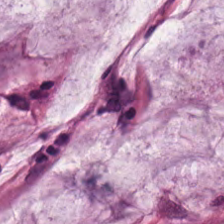H&E stain.
The tissue class is mucin.
